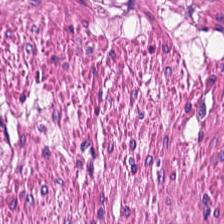This patch shows muscularis.
